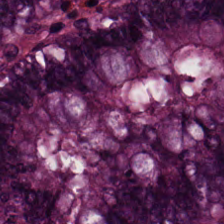H&E. The classification is normal colon mucosa.
